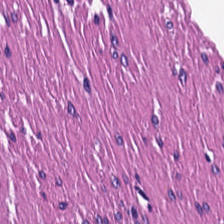H&E-stained tissue section.
Showing smooth-muscle tissue.
